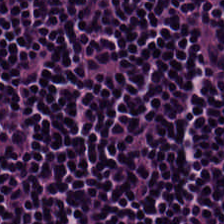Whole-slide-image patch. 0.5 microns per pixel. Hematoxylin-and-eosin stained section.
Predominant tissue = lymphocyte aggregate.
